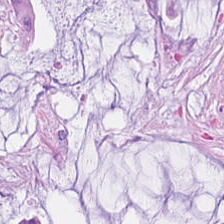0.5 µm/px · H&E. The tissue type is mucus.
